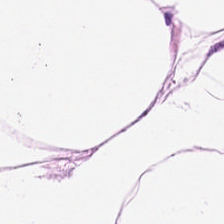0.5 microns per pixel. H&E-stained tissue section.
Classification — adipose.
